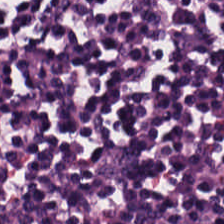H&E stain · FFPE tissue section · whole-slide-image patch — Lymphocytic infiltrate.
